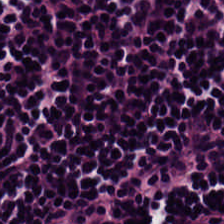H&E stain. The predominant tissue is lymphocyte aggregate.
